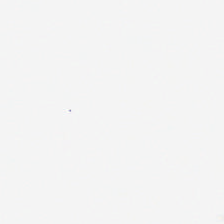0.5 µm/px; H&E stain. Content: no tissue.
